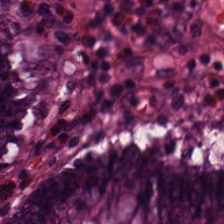Hematoxylin-and-eosin stained section. Q: What type of tissue is this?
A: This is normal colonic mucosa.
